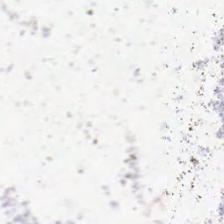Stain: hematoxylin and eosin.
Content: background (no tissue).
